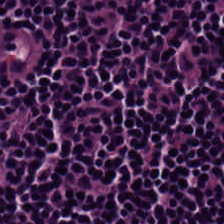Stain: H&E-stained tissue section.
Classification: lymphocytic infiltrate.
